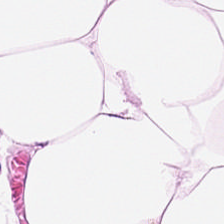H&E-stained tissue section. Predominant tissue = adipocytes.
